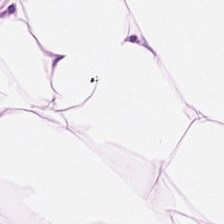H&E stain — {"tissue_type": "adipose tissue"}
